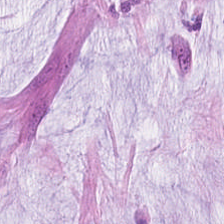H&E stain. Q: Identify the tissue.
A: This is mucin.
